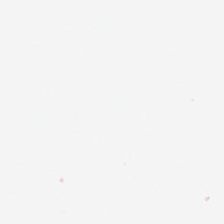The classification is empty background.
